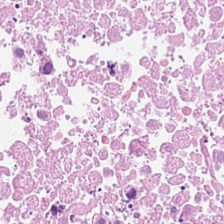WSI patch; H&E — Finding → necrotic debris.
